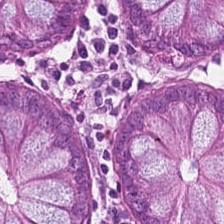The tissue is non-neoplastic colon mucosa.
